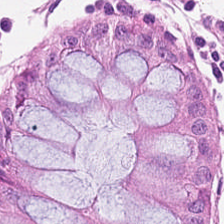Hematoxylin and eosin — This patch shows normal colon mucosa.
